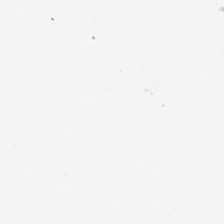WSI patch · H&E stain. Background — no tissue in this field.
